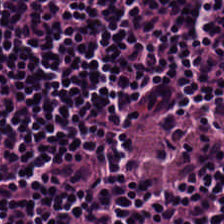Hematoxylin and eosin; 224×224 px patch.
This field is lymphocyte aggregate.
